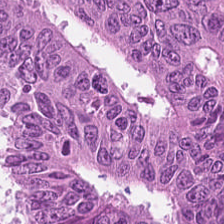H&E — This patch shows colorectal adenocarcinoma epithelium.
